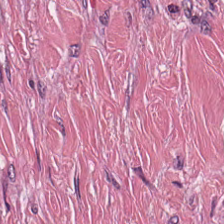Brightfield. H&E. Impression → tumor-associated stroma.
